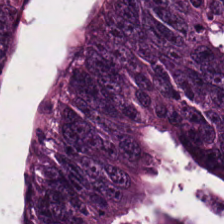224×224 pixel tile. H&E-stained tissue section — Finding → adenocarcinoma.
